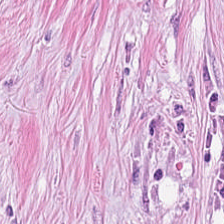Hematoxylin and eosin — Tissue type — tumor stroma.
